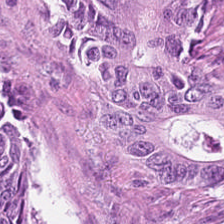Hematoxylin and eosin. The classification is malignant epithelium.
